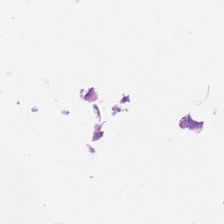224×224 px patch. Hematoxylin and eosin. Formalin-fixed paraffin-embedded section.
Content = background.
